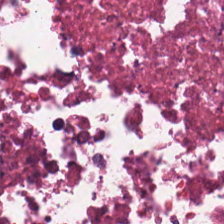This field is debris.
